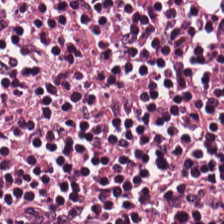Stain: H&E stain.
Preparation: FFPE.
Tissue class: lymphocytic infiltrate.
